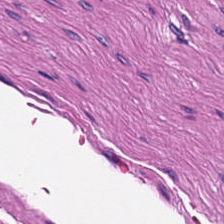Whole-slide-image patch. FFPE tissue section. H&E stain — Q: What is shown in this field?
A: It is smooth muscle.
